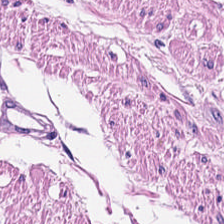Stain: H&E-stained tissue section.
Tissue type: smooth-muscle tissue.
